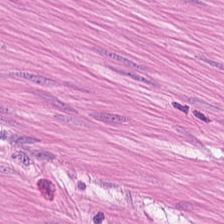H&E — smooth muscle.
